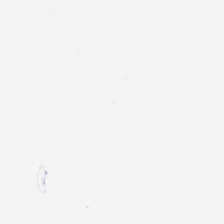Hematoxylin-and-eosin stained section. Empty field — background.
